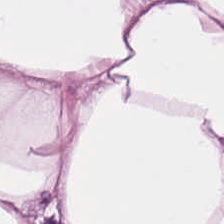The tissue type is fat tissue.
